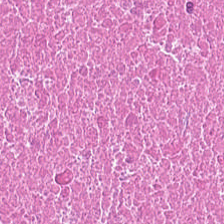Impression — cellular debris.
